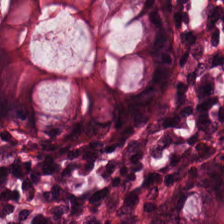Hematoxylin and eosin. Predominantly benign colonic mucosa.
